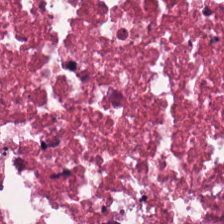Hematoxylin-and-eosin stained section — This field is cellular debris.
